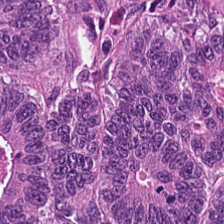Formalin-fixed paraffin-embedded section · H&E stain · WSI patch — Q: What is shown here?
A: It is colorectal adenocarcinoma epithelium.
